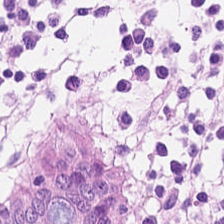This patch shows benign colonic mucosa.
